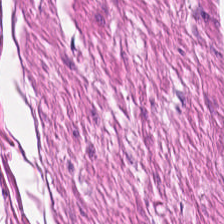The tissue here is muscularis.
